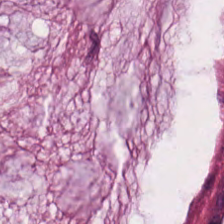H&E — mucus.
